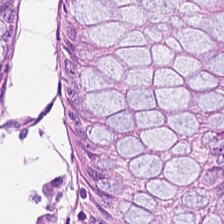H&E stain — The predominant tissue is non-neoplastic colon mucosa.
